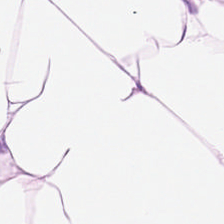H&E stain.
Q: What type of tissue is this?
A: The field shows adipocytes.
